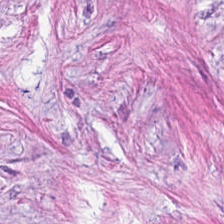Histology — tumor stroma.
